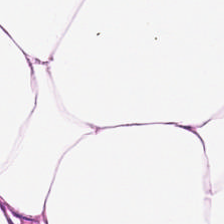Hematoxylin-and-eosin stained section. This field is fat tissue.
